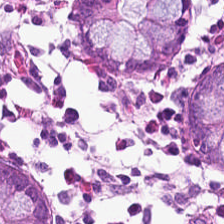0.5 µm/px; hematoxylin-and-eosin stained section — {"tissue_type": "non-neoplastic colon mucosa"}
